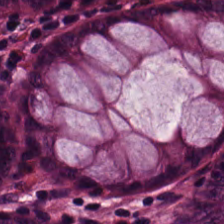H&E — Predominantly normal colonic mucosa.
